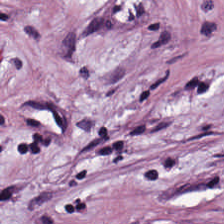Impression — tumor stroma.
